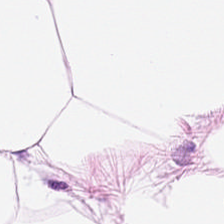H&E.
Predominant tissue = adipose tissue.
